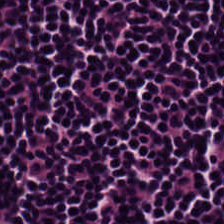Hematoxylin-and-eosin stained section.
Classification = lymphoid infiltrate.
